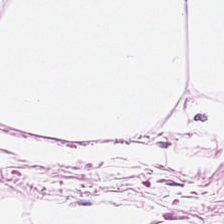Hematoxylin and eosin — Tissue class: adipocytes.
